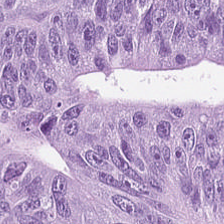H&E-stained tissue section; brightfield; 0.5 µm/px.
The tissue class is malignant epithelium.
